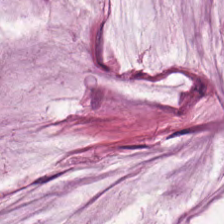Stain: hematoxylin and eosin.
Predominant tissue: mucus.
